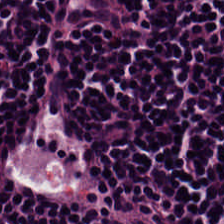H&E stain — The predominant tissue is lymphocytes.
